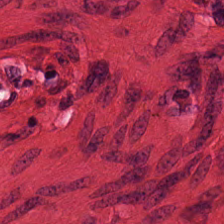H&E stain.
Classification — muscularis.
